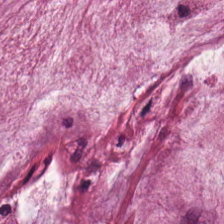Impression — mucus.
